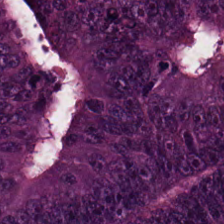Hematoxylin-and-eosin stained section. 0.5 µm/px. 224×224 px patch — Q: Identify the tissue.
A: This is colorectal adenocarcinoma.
